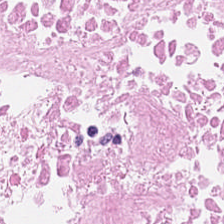Hematoxylin and eosin.
Q: What is shown here?
A: This is debris.
